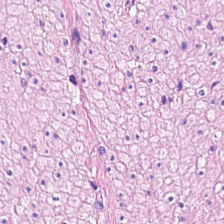Smooth-muscle tissue.
